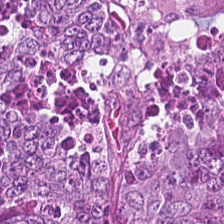Hematoxylin and eosin — Tissue class = colorectal adenocarcinoma.
